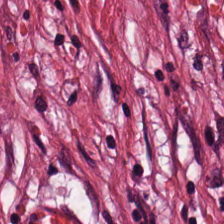Hematoxylin-and-eosin stained section; 20× equivalent magnification.
The predominant tissue is tumor-associated stroma.
